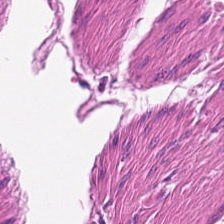Predominant tissue: muscularis.
